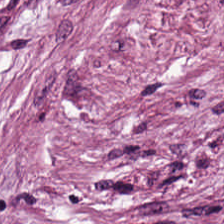Predominant tissue — desmoplastic stroma.
